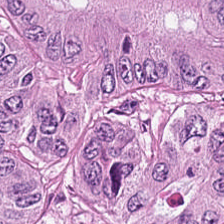H&E · FFPE tissue section.
This patch shows colorectal adenocarcinoma epithelium.
